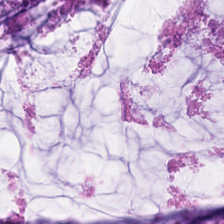Histology — mucin.
